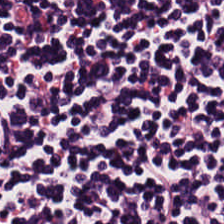Stain: hematoxylin-and-eosin stained section.
Tissue: lymphocytic infiltrate.
